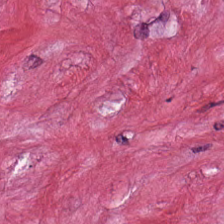Tissue type — tumor-associated stroma.
